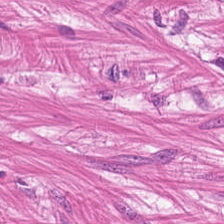H&E stain · FFPE.
Impression → smooth muscle.
